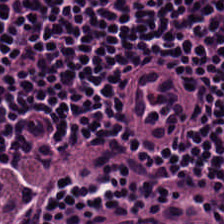The predominant tissue is lymphocyte aggregate.
